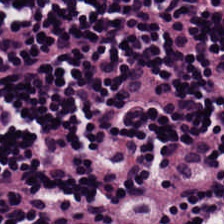224×224 pixel tile; hematoxylin and eosin; FFPE. Showing lymphoid infiltrate.
